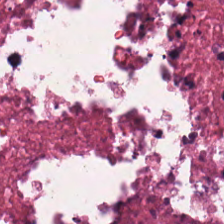Stain: H&E-stained tissue section.
Predominant tissue: cellular debris.
